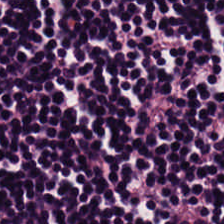The tissue here is lymphocyte aggregate.
